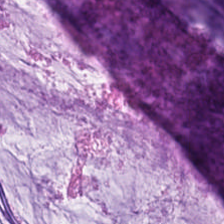Histology — mucus.
